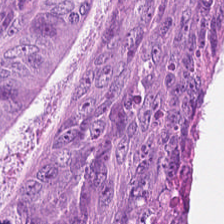H&E-stained tissue section · 20× equivalent magnification — Histology → colorectal adenocarcinoma epithelium.
